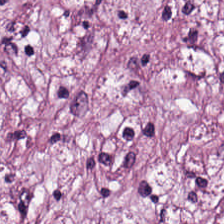Hematoxylin and eosin. 224×224 pixel tile. Brightfield.
The predominant tissue is cancer-associated stroma.
